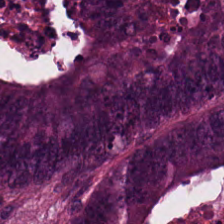Q: What is shown in this field?
A: Colorectal adenocarcinoma.
